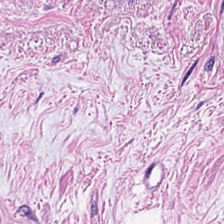Predominant tissue: smooth muscle.
